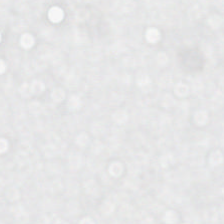Stain: hematoxylin and eosin.
Classification: background (no tissue).
